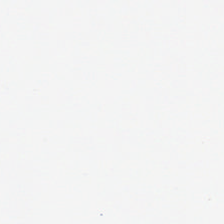Hematoxylin-and-eosin stained section — Content — empty background.
